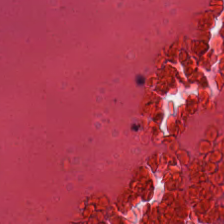H&E stain.
Predominantly debris.
